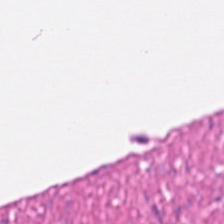Hematoxylin-and-eosin section: muscularis.
